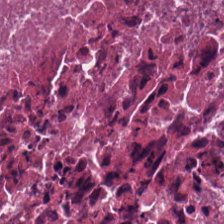Stain: hematoxylin-and-eosin stained section.
Tissue class: cellular debris.
